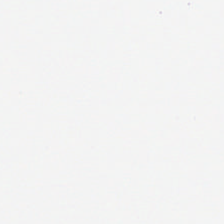Stain: H&E-stained tissue section.
Resolution: 0.5 µm per pixel.
Preparation: FFPE.
Content: empty background.
